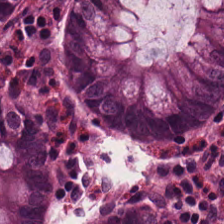H&E-stained tissue section · 0.5 µm/px · brightfield — Predominantly benign colonic mucosa.
